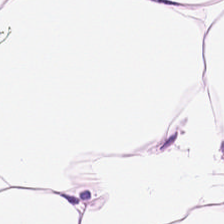Hematoxylin and eosin.
Finding — adipocytes.
